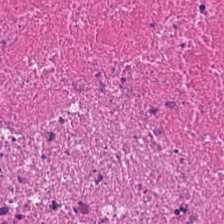WSI patch. H&E. The predominant tissue is cellular debris.
